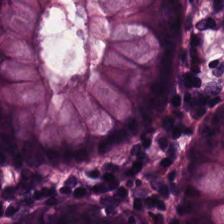224×224 px patch. Hematoxylin-and-eosin stained section. Formalin-fixed paraffin-embedded section. The tissue here is benign colonic mucosa.
